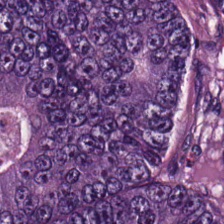Brightfield. H&E stain. FFPE. Impression → colorectal adenocarcinoma.
